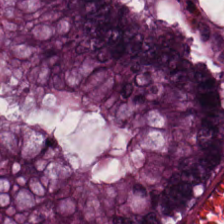FFPE; 224×224 px tile; H&E stain. This patch shows benign colonic mucosa.
